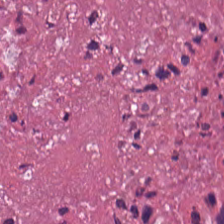Brightfield. H&E — Tissue type: necrotic debris.
